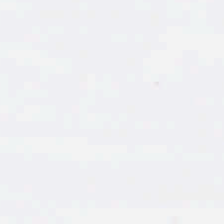H&E — Empty field — empty background.
